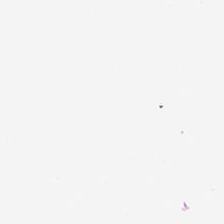Hematoxylin and eosin. 224×224 pixel tile. This patch shows empty background.
